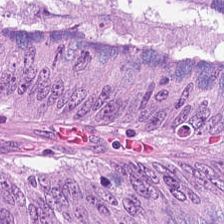Classification: malignant epithelium.
